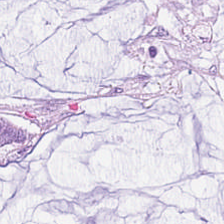0.5 microns per pixel; hematoxylin and eosin. The tissue here is extracellular mucin.
